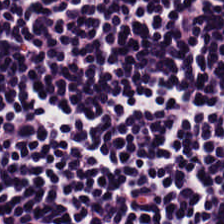H&E · FFPE tissue section.
Tissue type = lymphocyte aggregate.
